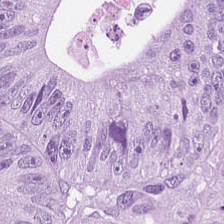224×224 px patch · hematoxylin-and-eosin stained section — The tissue type is colorectal adenocarcinoma epithelium.
